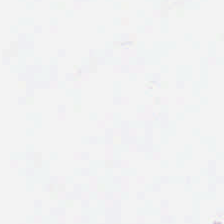Whole-slide-image patch; H&E-stained tissue section — Q: Classify this patch.
A: Background (no tissue).
